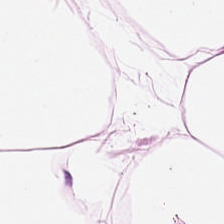H&E stain. 224×224 px tile.
Tissue = adipocytes.
